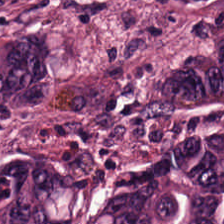H&E-stained tissue section. Classification — colorectal adenocarcinoma.
